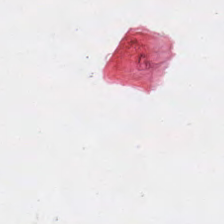Hematoxylin and eosin. 224×224 px tile. Q: What is shown in this field?
A: It is background.
